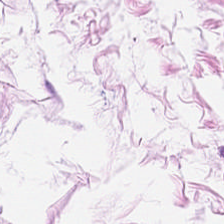This patch shows fat tissue.
